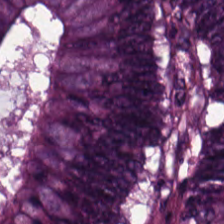H&E.
Q: What tissue is shown?
A: The field shows malignant epithelium.
